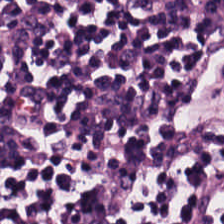Stain: H&E-stained tissue section.
Tissue type: lymphocytes.
